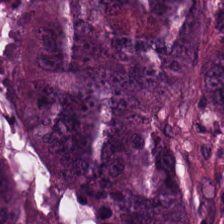H&E-stained tissue section; brightfield microscopy — The tissue here is tumor epithelium.
